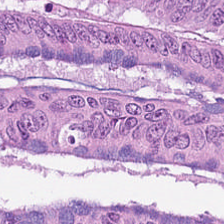Tissue type — colorectal adenocarcinoma.
